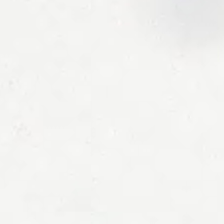H&E-stained tissue section.
Q: What is shown in this field?
A: The field shows no tissue.
